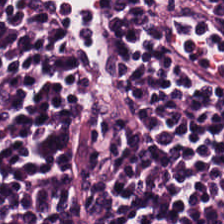Predominantly lymphocytes.
